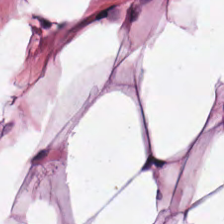H&E-stained tissue section — Q: What is shown in this field?
A: This is adipose.
